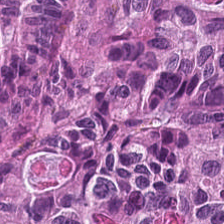20× equivalent magnification · H&E.
Q: What type of tissue is this?
A: Colorectal adenocarcinoma.
